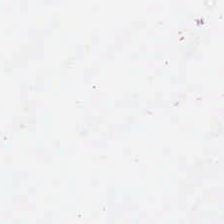Hematoxylin-and-eosin stained section; FFPE.
Q: What does this patch show?
A: It is background (no tissue).
